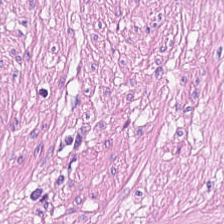Stain: hematoxylin and eosin.
Acquisition: WSI patch.
Predominant tissue: smooth muscle.
